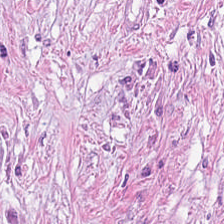Hematoxylin and eosin. The tissue is tumor-associated stroma.
